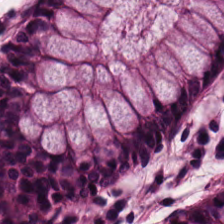H&E. Predominantly normal colon mucosa.
